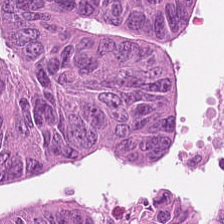Hematoxylin-and-eosin stained section · 0.5 µm/px — Tissue — adenocarcinoma.
